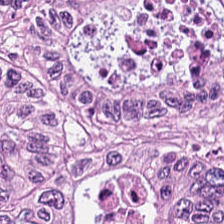Hematoxylin and eosin. Tissue type = colorectal adenocarcinoma.
